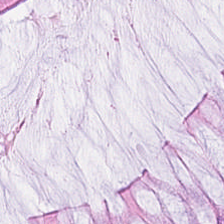Showing normal colon mucosa.
